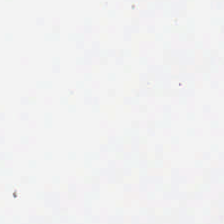Hematoxylin and eosin; brightfield microscopy — No tissue present; background only.
